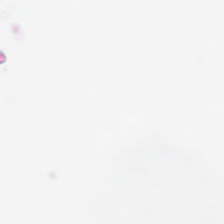Q: Classify this patch.
A: This is background.
